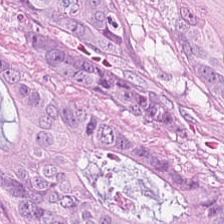Hematoxylin-and-eosin stained section — Finding → tumor epithelium.
